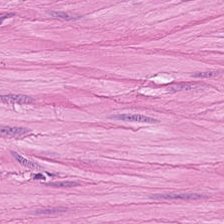Stain: hematoxylin and eosin.
Preparation: FFPE.
Predominant tissue: muscularis.
